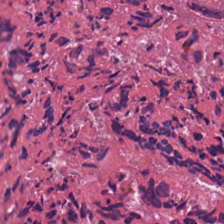Hematoxylin-and-eosin stained section · 224×224 px tile.
Impression → necrotic debris.
